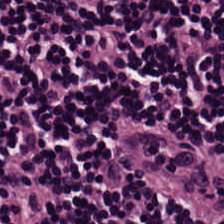Hematoxylin and eosin. This field is lymphocytic infiltrate.
